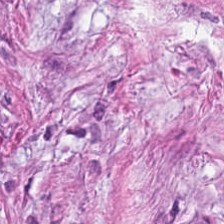Predominant tissue = desmoplastic stroma.
